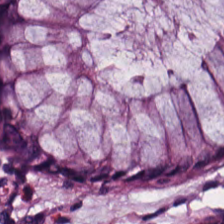{"tissue_type": "normal colon mucosa"}
